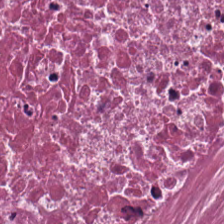H&E. Tissue = necrotic debris.
